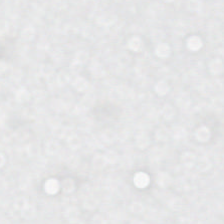FFPE tissue section; hematoxylin and eosin; 0.5 µm/px — This field is background (no tissue).
